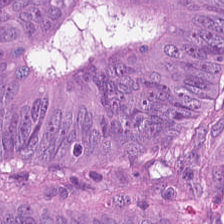0.5 microns per pixel · H&E-stained tissue section — Showing colorectal adenocarcinoma epithelium.
